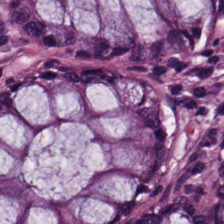FFPE tissue section · 224×224 px tile · H&E stain — Predominantly benign colonic mucosa.
